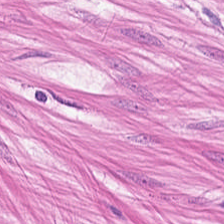The predominant tissue is muscularis.
